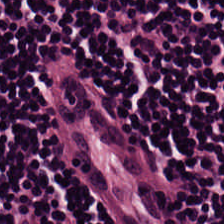H&E-stained tissue section. The tissue here is lymphocytes.
